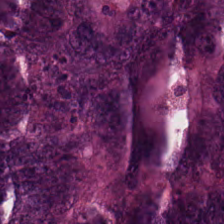Stain: hematoxylin and eosin.
Predominant tissue: malignant epithelium.
